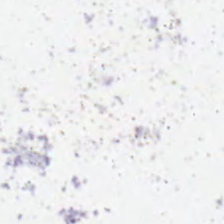WSI patch · 224×224 px tile · H&E stain — No tissue present; background only.
